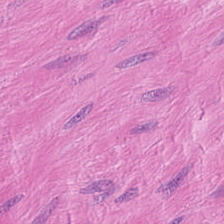Hematoxylin-and-eosin stained section. {"tissue_type": "smooth-muscle tissue"}
